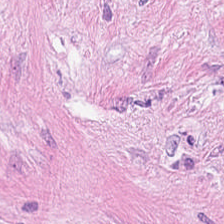Q: What is shown in this field?
A: Tumor-associated stroma.
